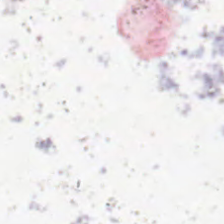H&E-stained tissue section; 0.5 µm/px — Field content — no tissue.
